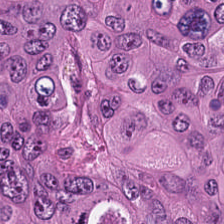0.5 µm/px · H&E-stained tissue section — Predominant tissue = tumor epithelium.
